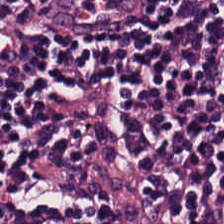The tissue here is lymphocytic infiltrate.
